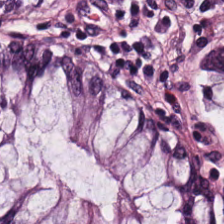224×224 px tile · FFPE tissue section · H&E stain — Predominantly normal colonic mucosa.
